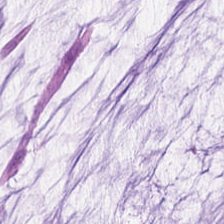Stain: H&E stain.
Classification: mucin.
